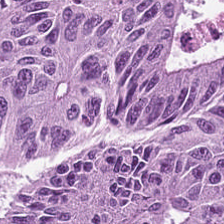Finding → colorectal adenocarcinoma.
